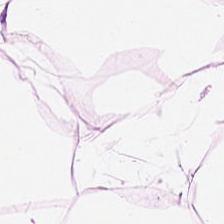0.5 µm per pixel · H&E — Fat tissue.
